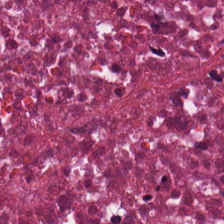FFPE tissue section. H&E-stained tissue section. Tissue class: necrotic debris.
